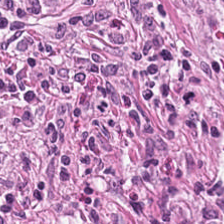0.5 µm/px. Hematoxylin and eosin — Tissue type: desmoplastic stroma.
